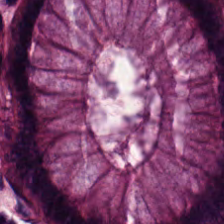Whole-slide-image patch · H&E-stained tissue section · formalin-fixed paraffin-embedded section.
The tissue is normal colon mucosa.
